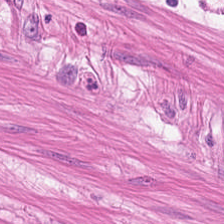Stain: H&E.
Acquisition: whole-slide-image patch.
Resolution: 0.5 microns per pixel.
Tissue class: smooth-muscle tissue.
